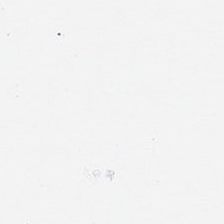Hematoxylin and eosin; formalin-fixed paraffin-embedded section; 0.5 µm per pixel. This patch shows no tissue.
